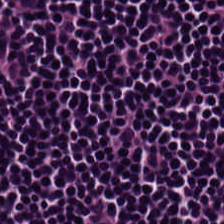Hematoxylin and eosin — {"tissue_type": "lymphoid infiltrate"}
